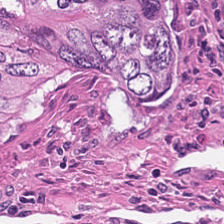Brightfield microscopy; H&E; 0.5 µm/px — Predominant tissue = debris.
